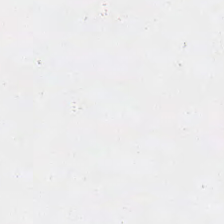H&E.
Finding → background (no tissue).
